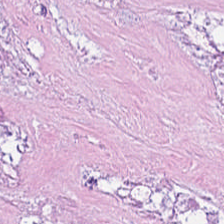Necrotic debris.
